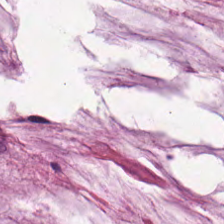H&E. 224×224 px patch — Finding → mucin.
